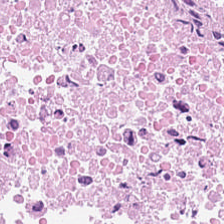H&E stain. Tissue = debris.
